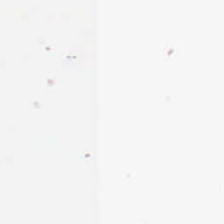Q: What is shown in this field?
A: It is no tissue.
